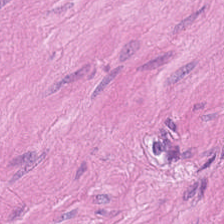H&E stain. Predominant tissue = muscularis.
